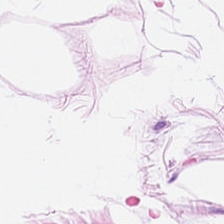H&E. FFPE.
Q: What type of tissue is this?
A: This is adipose.
